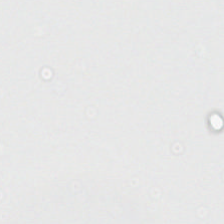This field is background (no tissue).
